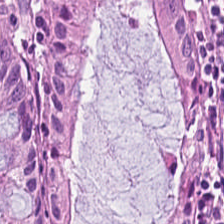Hematoxylin and eosin — Benign colonic mucosa.
